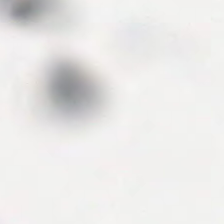This patch shows background.
